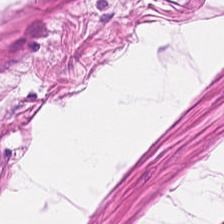Hematoxylin and eosin.
This field is muscularis.
